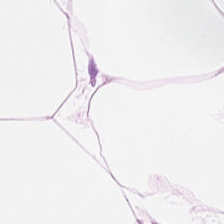Hematoxylin-and-eosin stained section.
Classification — adipose tissue.
